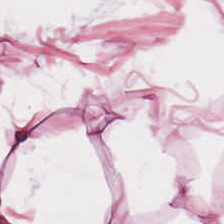This field is fat tissue.
